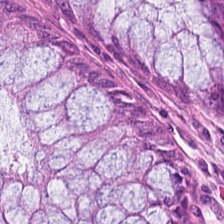H&E. Tissue class = benign colonic mucosa.
